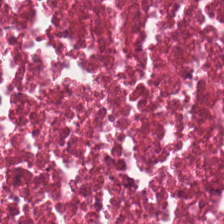Tissue type = necrotic debris.
